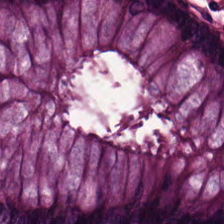Hematoxylin-and-eosin stained section · FFPE tissue section.
Q: What does this patch show?
A: It is benign colonic mucosa.
